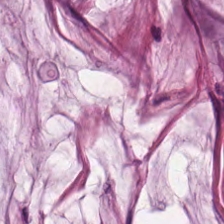{"tissue_type": "extracellular mucin"}
